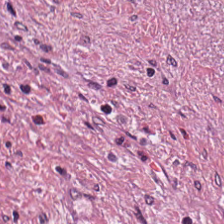Formalin-fixed paraffin-embedded section; H&E; 0.5 µm per pixel.
Q: What does this patch show?
A: The field shows tumor-associated stroma.
